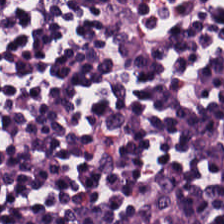H&E-stained tissue section.
Q: Classify this patch.
A: This is lymphocytes.
